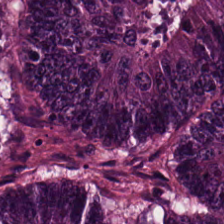H&E.
Showing colorectal adenocarcinoma epithelium.
